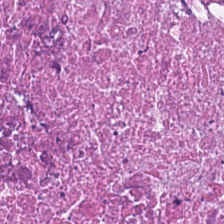H&E-stained tissue section. {"tissue_type": "necrotic debris"}
